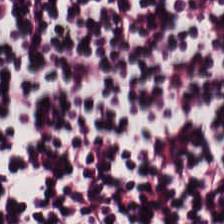Predominant tissue — lymphoid infiltrate.
